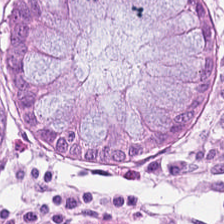The classification is non-neoplastic colon mucosa.
